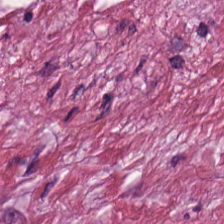H&E.
Tissue type: tumor-associated stroma.
